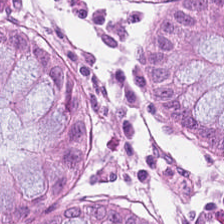Benign colonic mucosa.
